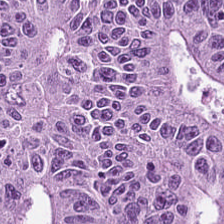Classification: tumor epithelium.
